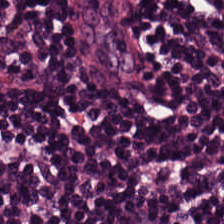FFPE tissue section; hematoxylin and eosin — Predominantly lymphoid infiltrate.
